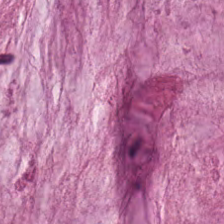H&E-stained tissue section. FFPE tissue section.
Mucin.
